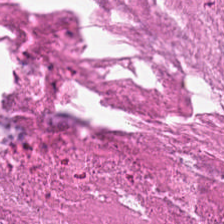Hematoxylin and eosin. Predominantly debris.
